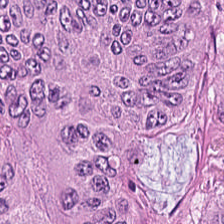Hematoxylin and eosin. 0.5 µm/px. FFPE tissue section.
Predominant tissue — malignant epithelium.
